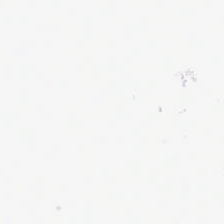Finding — empty background.
